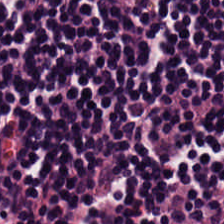Stain: H&E.
Predominant tissue: lymphocytes.
